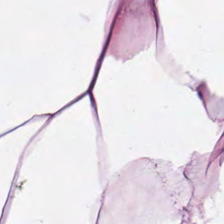The tissue here is adipose.
